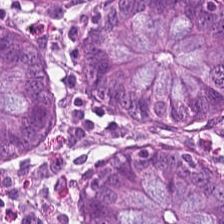{"tissue_type": "normal colon mucosa"}
